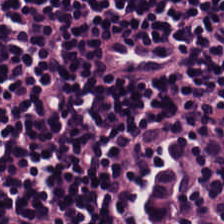Stain: hematoxylin and eosin.
Resolution: 0.5 microns per pixel.
Predominant tissue: lymphoid infiltrate.
